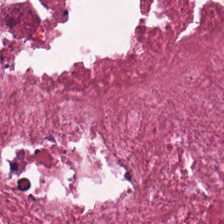FFPE; H&E. The tissue type is cellular debris.
